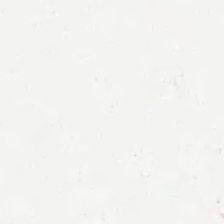Classification — background.
